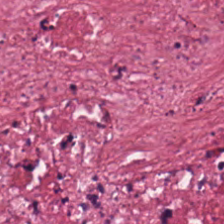H&E.
{"tissue_type": "tumor stroma"}
